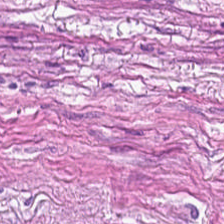The classification is cancer-associated stroma.
